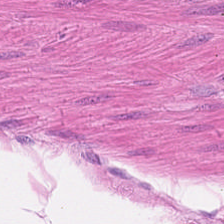224×224 pixel tile · hematoxylin and eosin. Histology — smooth muscle.
